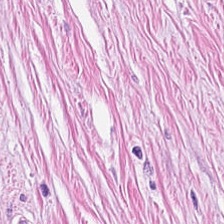H&E stain · brightfield. Q: What is shown here?
A: Tumor stroma.
